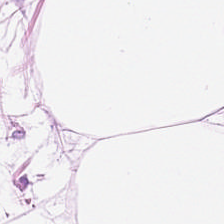H&E. Predominantly adipose.
